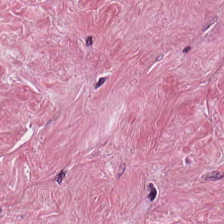Stain: H&E-stained tissue section.
Classification: desmoplastic stroma.
